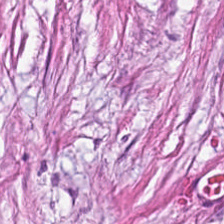FFPE; hematoxylin and eosin; brightfield microscopy — Tissue type — cancer-associated stroma.
